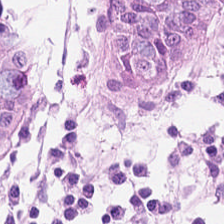H&E. Q: Classify this patch.
A: This is benign colonic mucosa.
